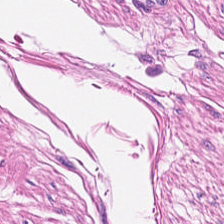Predominantly smooth-muscle tissue.
